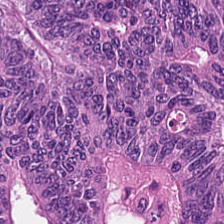FFPE tissue section · 0.5 microns per pixel · H&E stain. Predominant tissue = colorectal adenocarcinoma.
